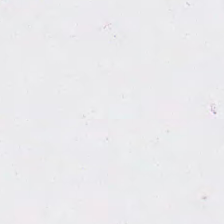Hematoxylin and eosin. Classification — background (no tissue).
